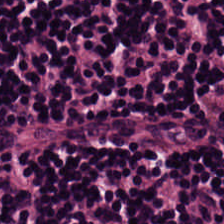H&E-stained tissue section — Q: Identify the tissue.
A: This is lymphocyte aggregate.
